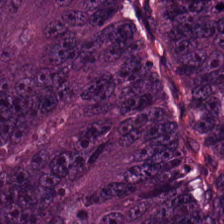WSI patch; H&E-stained tissue section; 0.5 µm/px. Impression → malignant epithelium.
